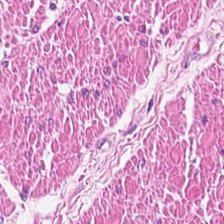Hematoxylin-and-eosin stained section. Muscularis.
